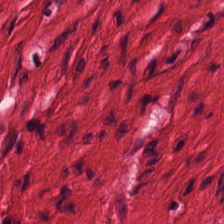Brightfield · H&E stain · FFPE. Tissue: smooth-muscle tissue.
